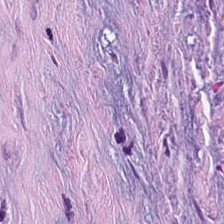Stain: hematoxylin and eosin.
Classification: tumor-associated stroma.
